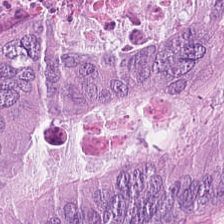H&E-stained tissue section · whole-slide-image patch — The tissue here is colorectal adenocarcinoma.
